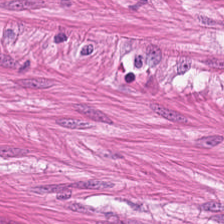The tissue is muscularis.
